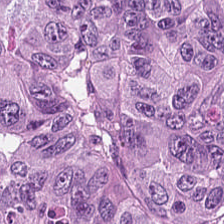Q: What is shown here?
A: The field shows colorectal adenocarcinoma epithelium.
